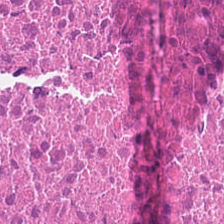Hematoxylin-and-eosin stained section — This patch shows cellular debris.
